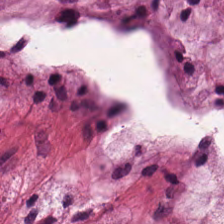FFPE tissue section; H&E-stained tissue section — Tissue class: extracellular mucin.
